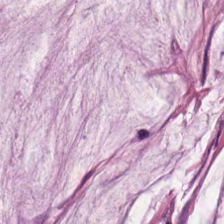H&E patch showing extracellular mucin.
